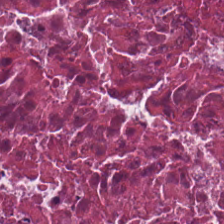Hematoxylin-and-eosin section: cellular debris.
